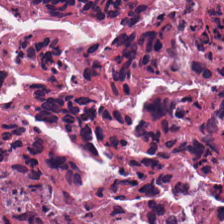Impression — cellular debris.
